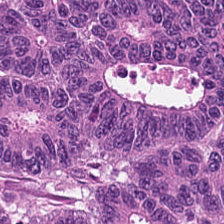FFPE. 0.5 µm/px. H&E — The tissue here is malignant epithelium.
